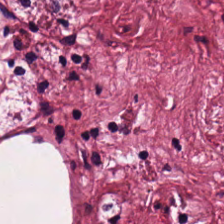H&E-stained tissue section.
Q: What type of tissue is this?
A: The field shows cancer-associated stroma.
